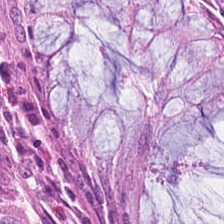H&E-stained tissue section. 0.5 microns per pixel.
Q: Classify this patch.
A: The field shows benign colonic mucosa.
